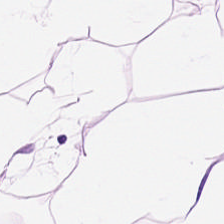Stain: H&E-stained tissue section.
Preparation: formalin-fixed paraffin-embedded section.
Acquisition: brightfield.
Tissue class: fat tissue.
